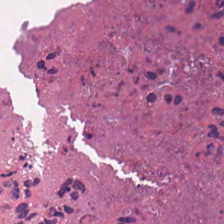Stain: H&E.
Tile size: 224×224 px tile.
Tissue: necrotic debris.
